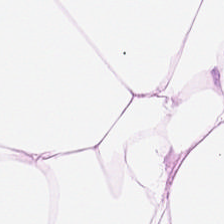Hematoxylin and eosin.
The predominant tissue is adipose.
